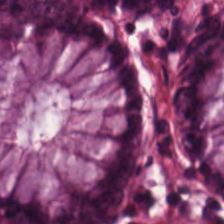Stain: H&E-stained tissue section.
Classification: non-neoplastic colon mucosa.
